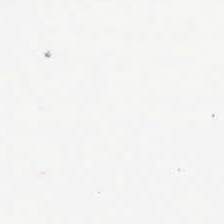H&E-stained tissue section.
This patch shows no tissue.
